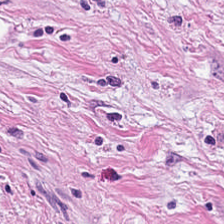Stain: hematoxylin-and-eosin stained section.
Tissue class: cancer-associated stroma.
